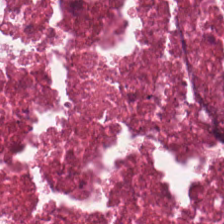Stain: H&E.
Tissue class: debris.
